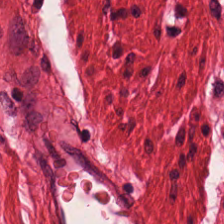H&E stain. Predominant tissue — muscularis.
